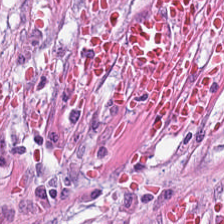Stain: H&E.
Tissue type: cancer-associated stroma.
